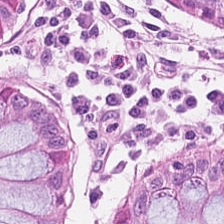H&E stain — {"tissue_type": "normal colonic mucosa"}
